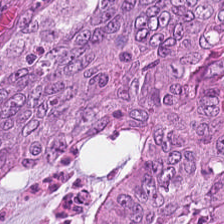H&E stain — This field is adenocarcinoma.
